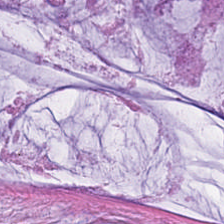H&E stain.
This field is mucus.
